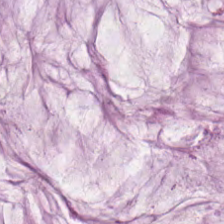Tissue = extracellular mucin.
